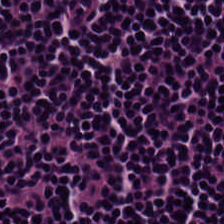Stain: H&E stain.
Preparation: formalin-fixed paraffin-embedded section.
Tissue: lymphocytic infiltrate.
